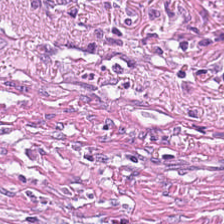Hematoxylin and eosin.
Tissue class — tumor stroma.
